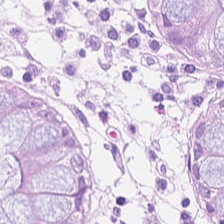Classification = benign colonic mucosa.
